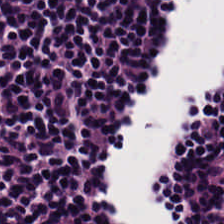H&E — Q: What is shown in this field?
A: The field shows lymphocytes.
